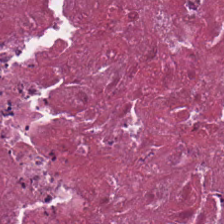H&E-stained tissue section — This patch shows debris.
